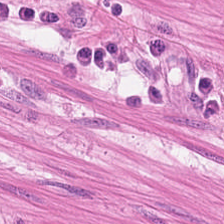H&E stain. The tissue class is smooth-muscle tissue.
